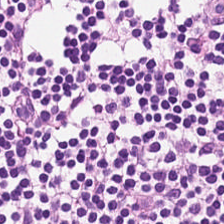{"tissue_type": "lymphocyte aggregate"}
